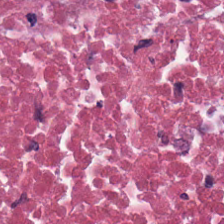H&E.
Impression → debris.
